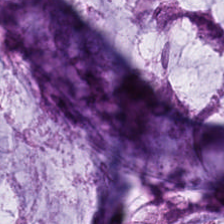WSI patch. H&E-stained tissue section. FFPE tissue section.
The tissue here is mucus.
